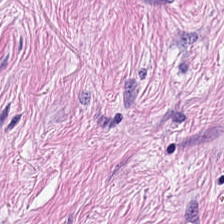Hematoxylin and eosin. Histology → tumor stroma.
